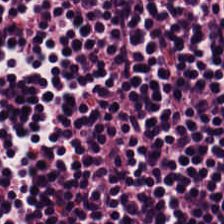Formalin-fixed paraffin-embedded section. H&E-stained tissue section. Predominantly lymphocytes.
